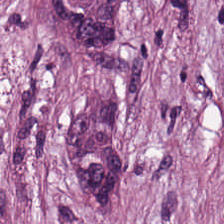Stain: H&E.
Preparation: formalin-fixed paraffin-embedded section.
Tissue type: desmoplastic stroma.
